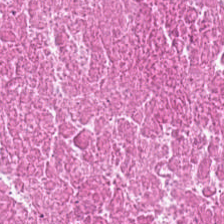Hematoxylin-and-eosin stained section. 20× equivalent magnification. 224×224 px patch.
Tissue = cellular debris.
